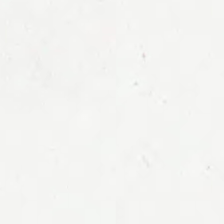Stain: H&E.
Tile size: 224×224 px tile.
Field content: background.
